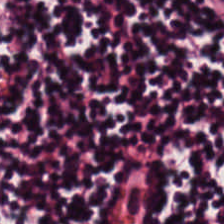The predominant tissue is lymphoid infiltrate.
